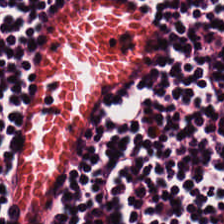Hematoxylin-and-eosin stained section. FFPE. This field is lymphoid infiltrate.
